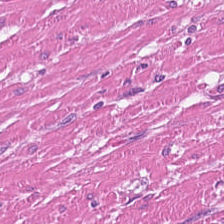224×224 px tile; H&E-stained tissue section — Predominant tissue: muscularis.
